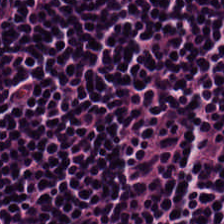FFPE tissue section. H&E-stained tissue section.
Lymphoid infiltrate.
